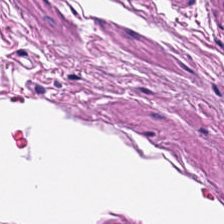H&E-stained tissue section.
The predominant tissue is smooth muscle.
